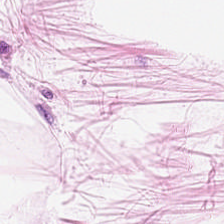H&E-stained tissue section. 0.5 µm per pixel.
This field is adipocytes.
